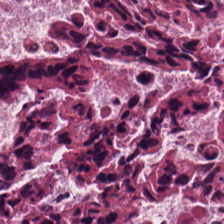Stain: hematoxylin-and-eosin stained section.
Tissue type: cellular debris.
